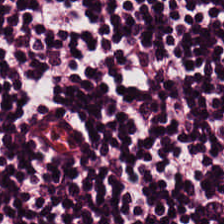H&E stain — Lymphocytes.
